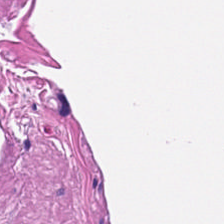Q: Identify the tissue.
A: Smooth-muscle tissue.
